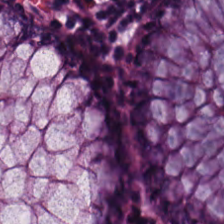Hematoxylin and eosin; brightfield microscopy.
The predominant tissue is normal colon mucosa.
